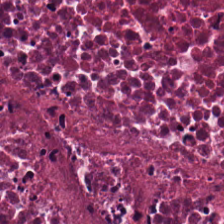H&E.
This patch shows debris.
